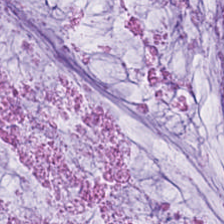The tissue class is mucin.
